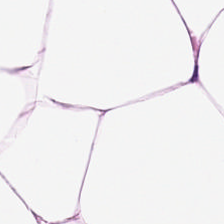Hematoxylin and eosin; 224×224 px tile. Q: What does this patch show?
A: This is adipocytes.
